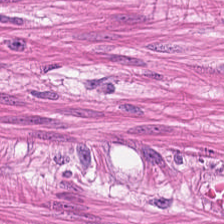Impression — muscularis.
